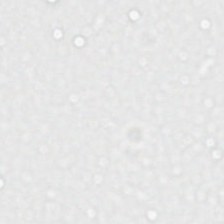H&E stain. Content — background.
